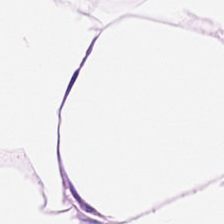H&E stain; 224×224 px patch. Classification = fat tissue.
